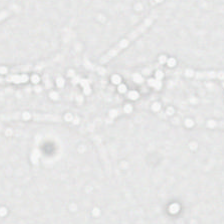Classification = background.
